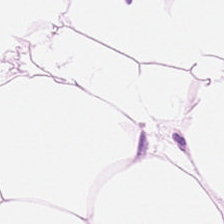H&E stain; FFPE tissue section; WSI patch — Showing adipose tissue.
